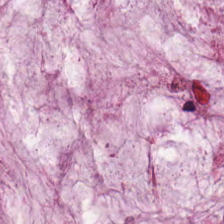Q: Classify this patch.
A: This is extracellular mucin.
